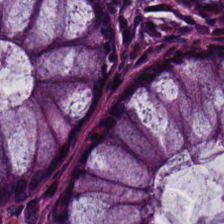Hematoxylin-and-eosin stained section; FFPE.
Predominantly normal colonic mucosa.
